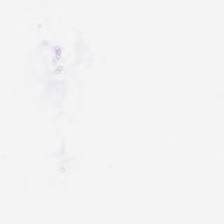This field is background (no tissue).
